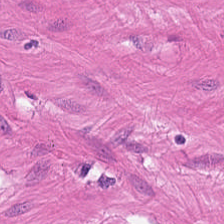Hematoxylin and eosin · 224×224 px tile.
The predominant tissue is muscularis.
